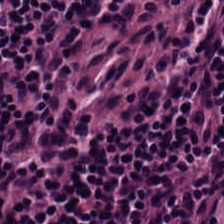Hematoxylin-and-eosin stained section — Q: What tissue is shown?
A: This is lymphocytes.
